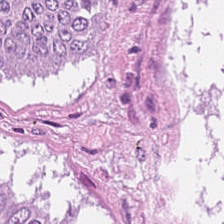Tissue class = adenocarcinoma.
